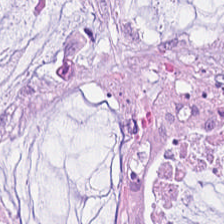Stain: H&E-stained tissue section.
Tissue class: mucin.
